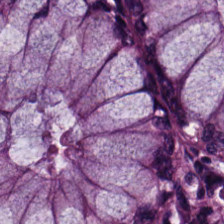H&E stain · 224×224 px tile.
Tissue type — normal colonic mucosa.
